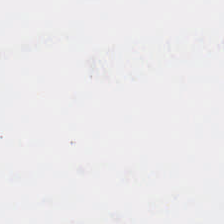224×224 px patch. H&E-stained tissue section. 0.5 microns per pixel. Histology — empty background.
